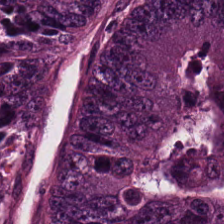Brightfield. Hematoxylin and eosin. 0.5 µm/px — Q: What does this patch show?
A: The field shows colorectal adenocarcinoma.
